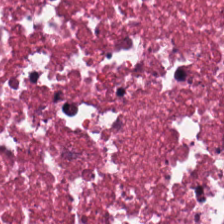Hematoxylin-and-eosin stained section. 224×224 px tile — This patch shows necrotic debris.
